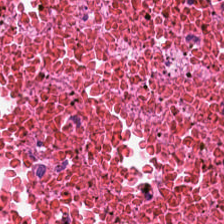Stain: H&E-stained tissue section.
Tissue type: cellular debris.
